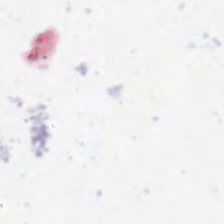Hematoxylin-and-eosin stained section.
Finding → empty background.
